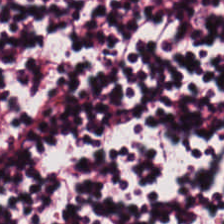H&E — lymphocytic infiltrate.
